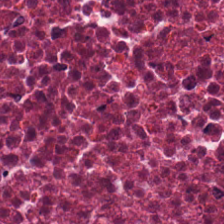Hematoxylin and eosin. Showing necrotic debris.
